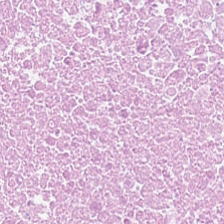Stain: H&E stain.
Predominant tissue: cellular debris.
